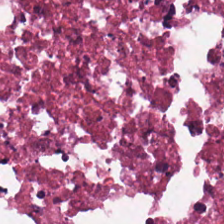H&E-stained tissue section; formalin-fixed paraffin-embedded section; brightfield.
Q: What is shown in this field?
A: Necrotic debris.
